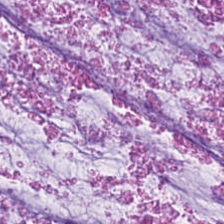H&E stain. The tissue here is mucus.
